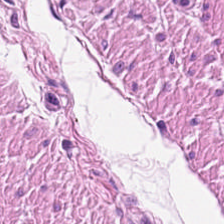Stain: hematoxylin-and-eosin stained section.
Tissue: smooth-muscle tissue.
